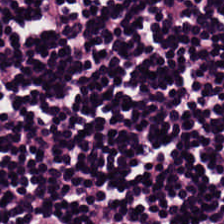Q: What tissue is shown?
A: This is lymphocytes.
